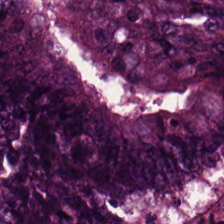0.5 microns per pixel; H&E stain — The tissue type is colorectal adenocarcinoma.
